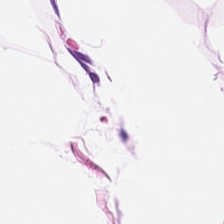H&E — This field is adipocytes.
